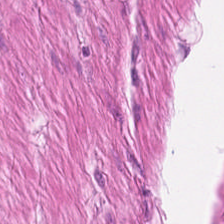H&E. 224×224 px patch — Q: What type of tissue is this?
A: Muscularis.
